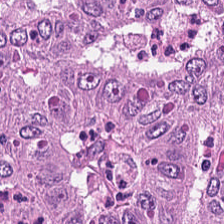224×224 px tile. H&E-stained tissue section.
Histology — tumor epithelium.
